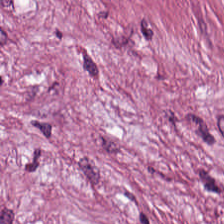Predominantly tumor-associated stroma.
